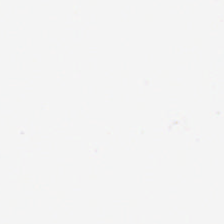Hematoxylin and eosin — The content is background (no tissue).
